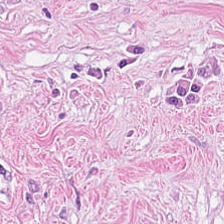H&E stain · whole-slide-image patch — The tissue here is tumor-associated stroma.
